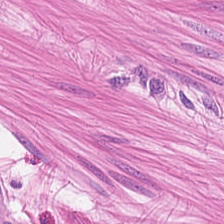224×224 px tile; H&E; FFPE tissue section. The predominant tissue is smooth-muscle tissue.
